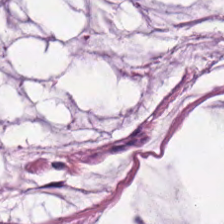H&E.
Finding — mucin.
